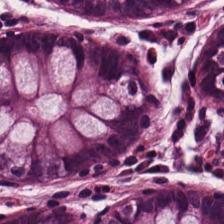Q: What tissue is shown?
A: The field shows non-neoplastic colon mucosa.
